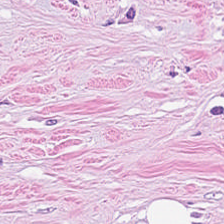{"tissue_type": "desmoplastic stroma"}
